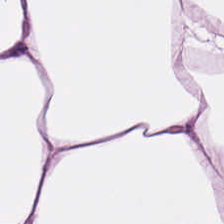0.5 microns per pixel; formalin-fixed paraffin-embedded section; hematoxylin-and-eosin stained section — Q: What tissue is shown?
A: It is fat tissue.
